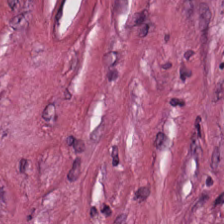Hematoxylin-and-eosin stained section; FFPE — Q: What tissue is shown?
A: It is tumor stroma.
